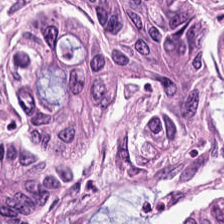H&E stain. Classification — tumor epithelium.
